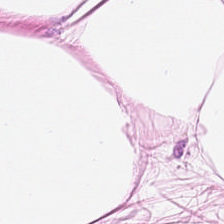H&E stain — Fat tissue.
